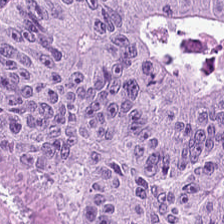Hematoxylin and eosin. Q: Classify this patch.
A: The field shows malignant epithelium.
